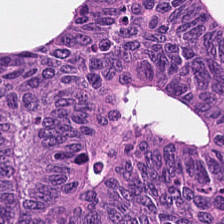H&E.
Q: What does this patch show?
A: The field shows colorectal adenocarcinoma epithelium.
